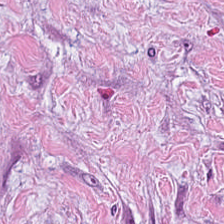Hematoxylin-and-eosin stained section — Impression → desmoplastic stroma.
